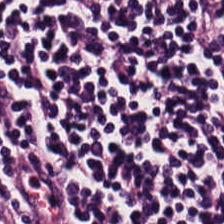Whole-slide-image patch; H&E. Q: What does this patch show?
A: It is lymphocytic infiltrate.
